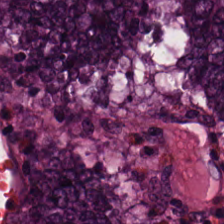Brightfield · H&E stain. Predominant tissue = normal colonic mucosa.
